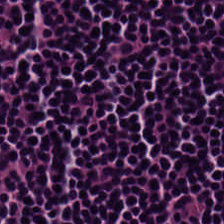H&E.
Tissue class = lymphocytic infiltrate.
